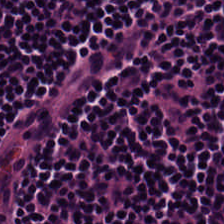Hematoxylin and eosin — This field is lymphocyte aggregate.
